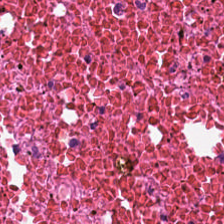Predominant tissue = necrotic debris.
